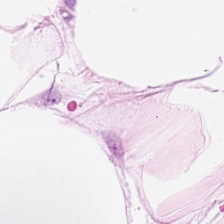Hematoxylin-and-eosin stained section.
This patch shows adipocytes.
